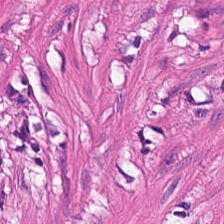Stain: H&E.
Predominant tissue: smooth-muscle tissue.
